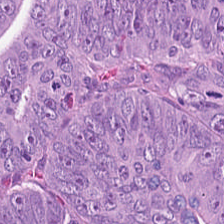Tissue type: malignant epithelium.
